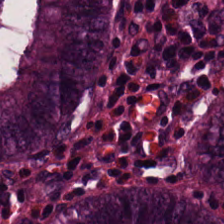H&E patch showing benign colonic mucosa.
